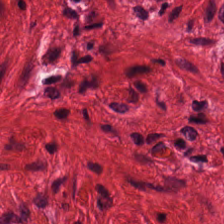H&E · 20× equivalent magnification. Q: What tissue is shown?
A: This is smooth muscle.
